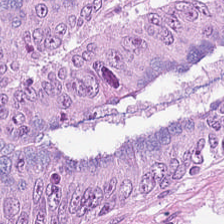H&E-stained tissue section. Tissue = colorectal adenocarcinoma.
